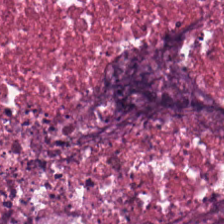H&E — Classification: necrotic debris.
